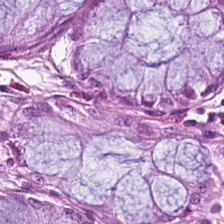Stain: hematoxylin and eosin.
Preparation: formalin-fixed paraffin-embedded section.
Predominant tissue: non-neoplastic colon mucosa.
